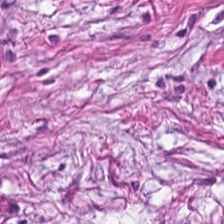H&E.
The tissue here is desmoplastic stroma.
